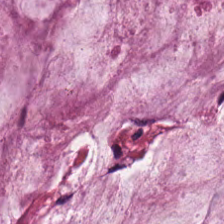224×224 pixel tile · H&E.
The predominant tissue is mucin.
